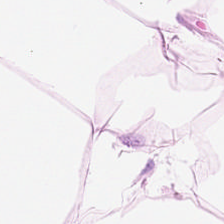H&E-stained tissue section.
Adipocytes.
